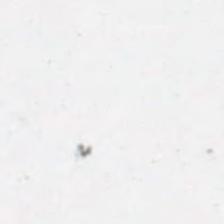Brightfield microscopy; hematoxylin and eosin — Q: What does this patch show?
A: It is background (no tissue).
